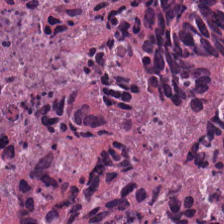WSI patch; hematoxylin and eosin.
Q: What is the predominant tissue type?
A: The field shows cellular debris.
